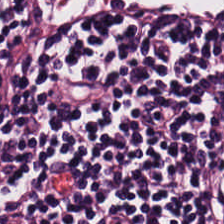0.5 µm per pixel; hematoxylin-and-eosin stained section.
{"tissue_type": "lymphocyte aggregate"}
